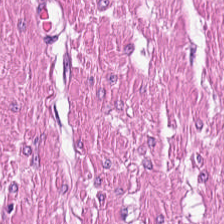H&E · 224×224 px patch · formalin-fixed paraffin-embedded section.
{"tissue_type": "muscularis"}
